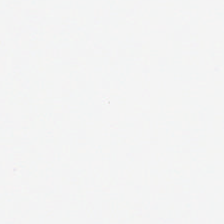Whole-slide-image patch · hematoxylin-and-eosin stained section.
No tissue present; background only.
